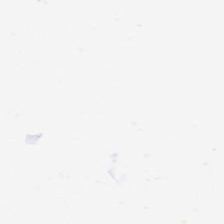Q: Classify this patch.
A: This is empty background.
